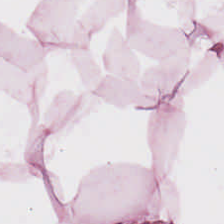Stain: hematoxylin-and-eosin stained section.
Acquisition: WSI patch.
Predominant tissue: adipose tissue.
